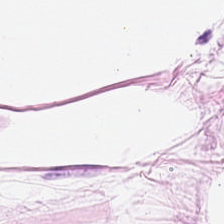Stain: H&E-stained tissue section.
Tissue type: adipocytes.
